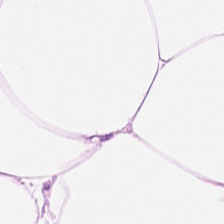224×224 px patch · H&E stain — Tissue type: adipocytes.
